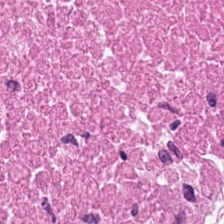20× equivalent magnification; hematoxylin and eosin. Predominantly necrotic debris.
